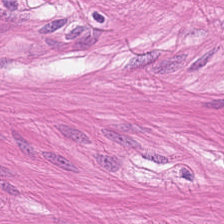H&E patch showing smooth-muscle tissue.
